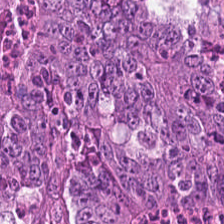Hematoxylin and eosin. FFPE. 224×224 px patch.
The tissue here is colorectal adenocarcinoma.
